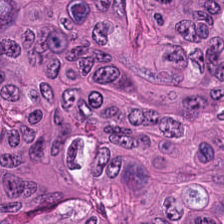H&E — This patch shows adenocarcinoma.
